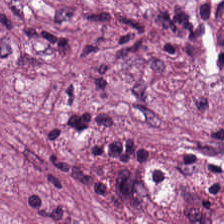The classification is cancer-associated stroma.
